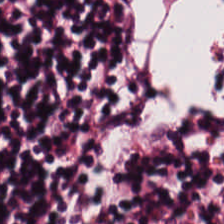H&E — lymphocyte aggregate.
